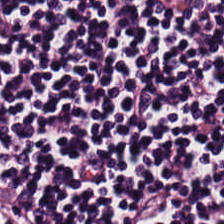Stain: H&E.
Tissue class: lymphocytic infiltrate.
